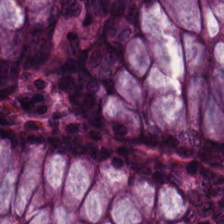224×224 pixel tile · hematoxylin and eosin · WSI patch.
Tissue type = normal colonic mucosa.
